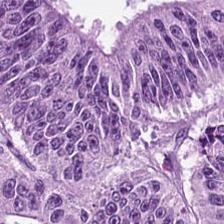224×224 px tile. Whole-slide-image patch. H&E. Tissue = colorectal adenocarcinoma.
